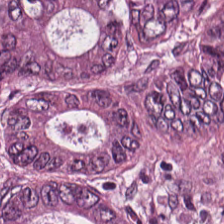H&E — colorectal adenocarcinoma.
